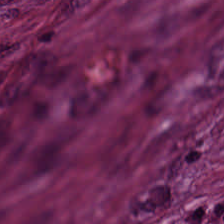0.5 µm/px. Hematoxylin-and-eosin stained section — This patch shows desmoplastic stroma.
